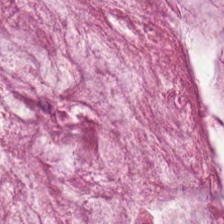Hematoxylin-and-eosin stained section. Tissue: mucus.
